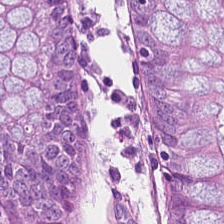H&E — Predominant tissue: normal colon mucosa.
